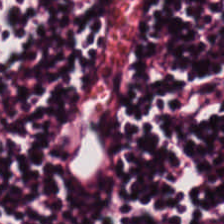FFPE tissue section. H&E-stained tissue section — Q: What tissue is shown?
A: It is lymphocytes.
